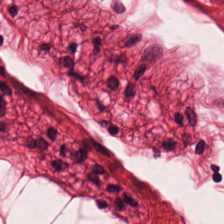0.5 microns per pixel · 224×224 px patch · H&E.
Tissue = smooth-muscle tissue.
